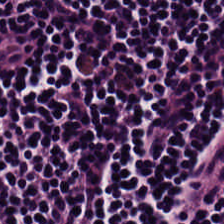{"tissue_type": "lymphoid infiltrate"}
